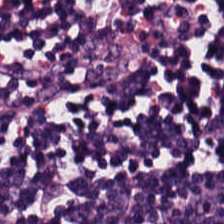Hematoxylin and eosin.
Impression → lymphocyte aggregate.
